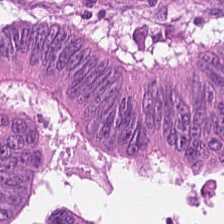H&E — Q: What does this patch show?
A: It is tumor epithelium.
